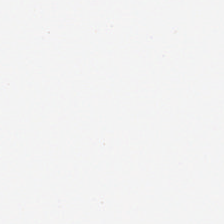H&E-stained tissue section — Content: empty background.
